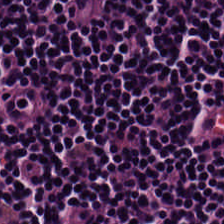FFPE · hematoxylin-and-eosin stained section.
Predominant tissue = lymphocytic infiltrate.
